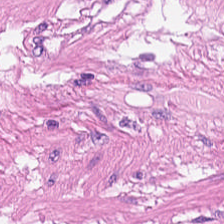224×224 px patch. H&E stain. FFPE — {"tissue_type": "muscularis"}
